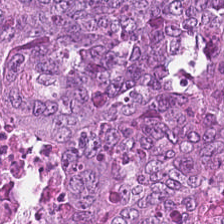H&E — Classification = adenocarcinoma.
